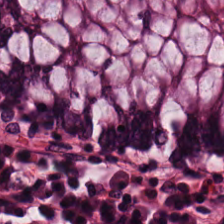H&E stain. Impression → benign colonic mucosa.
